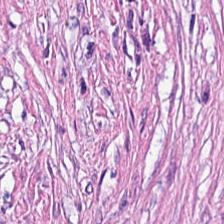Predominant tissue — desmoplastic stroma.
